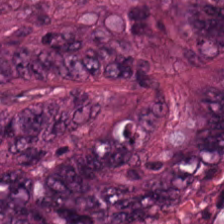Stain: H&E.
Tissue type: mucus.
